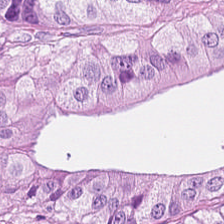H&E stain · 20× equivalent magnification — Predominant tissue — tumor epithelium.
